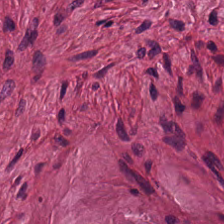The tissue class is tumor-associated stroma.
